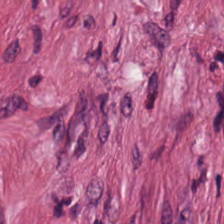H&E. 224×224 pixel tile — The tissue here is tumor-associated stroma.
